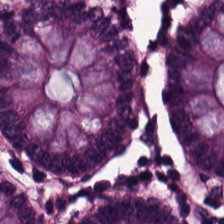Hematoxylin-and-eosin stained section.
The predominant tissue is non-neoplastic colon mucosa.
